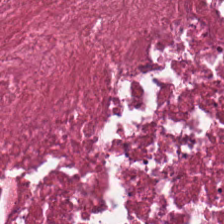Hematoxylin-and-eosin stained section. WSI patch. This patch shows necrotic debris.
